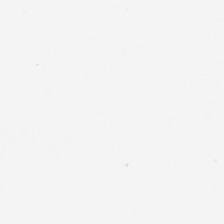Hematoxylin and eosin.
No tissue.
